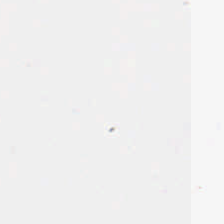Stain: H&E-stained tissue section.
Tile size: 224×224 px patch.
Field content: background.
